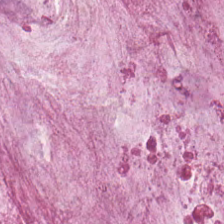H&E stain. Formalin-fixed paraffin-embedded section — Classification = mucin.
